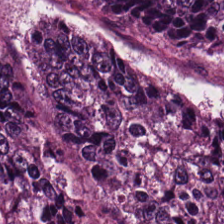H&E. 224×224 px tile. The predominant tissue is colorectal adenocarcinoma.
